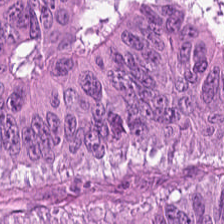224×224 px patch · H&E-stained tissue section · WSI patch — Colorectal adenocarcinoma epithelium.
